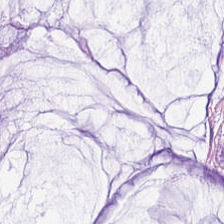Hematoxylin and eosin — This field is mucin.
